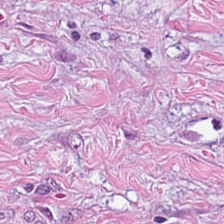Hematoxylin-and-eosin stained section. Classification = desmoplastic stroma.
